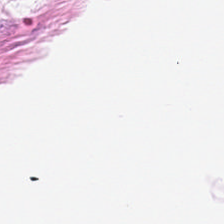224×224 px tile · hematoxylin-and-eosin stained section · whole-slide-image patch. Impression — adipose.
